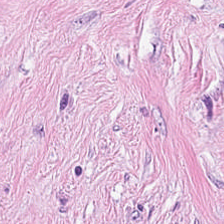Hematoxylin and eosin. The tissue here is cancer-associated stroma.
